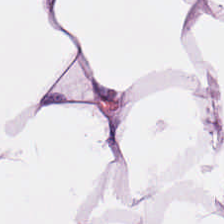Showing adipocytes.
